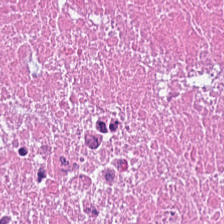H&E-stained tissue section — The tissue is cellular debris.
